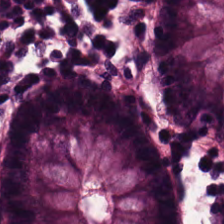Stain: hematoxylin-and-eosin stained section.
Classification: normal colonic mucosa.
